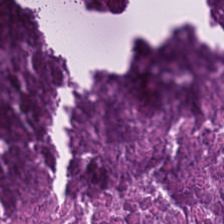Tissue type — debris.
